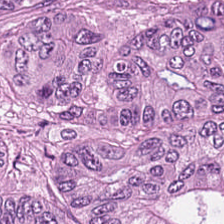Tissue: malignant epithelium.
